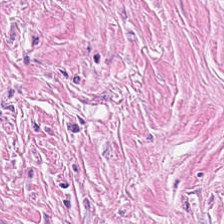Stain: hematoxylin and eosin.
Classification: cancer-associated stroma.
